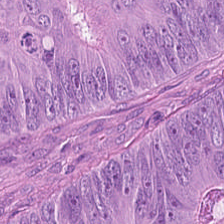Q: Identify the tissue.
A: This is adenocarcinoma.
